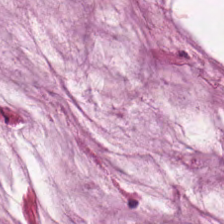H&E stain — The tissue here is mucin.
